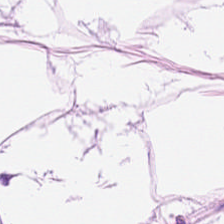H&E — Histology → adipose tissue.
